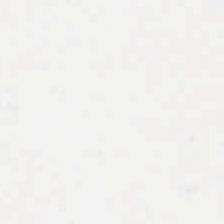0.5 microns per pixel. Hematoxylin-and-eosin stained section.
Finding → background.
